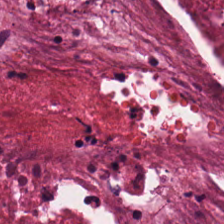0.5 µm per pixel. FFPE tissue section. H&E.
Finding — necrotic debris.
